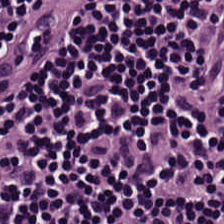Q: What is shown here?
A: This is lymphocytes.
